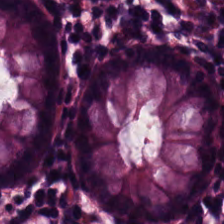Hematoxylin and eosin. The predominant tissue is normal colonic mucosa.
